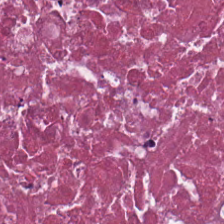Classification = cellular debris.
